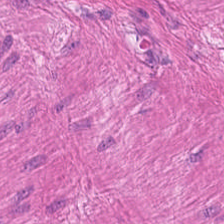Stain: hematoxylin-and-eosin stained section.
Tissue class: smooth-muscle tissue.
